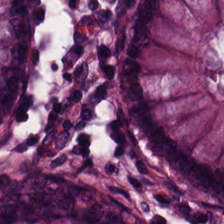Stain: H&E-stained tissue section.
Resolution: 0.5 µm per pixel.
Acquisition: WSI patch.
Predominant tissue: non-neoplastic colon mucosa.
